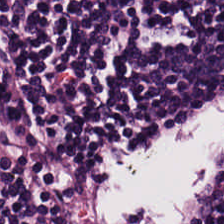Impression → lymphoid infiltrate.
